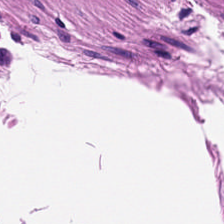Stain: H&E.
Classification: muscularis.
